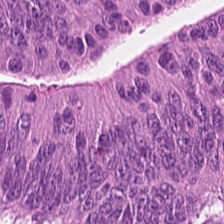Whole-slide-image patch · H&E-stained tissue section — The tissue class is colorectal adenocarcinoma.
